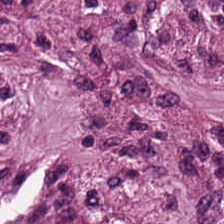H&E-stained tissue section; 0.5 µm/px; 224×224 px patch — Histology — tumor-associated stroma.
